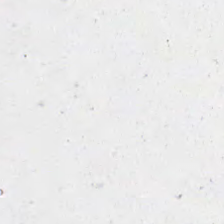Stain: H&E-stained tissue section.
Content: empty background.
